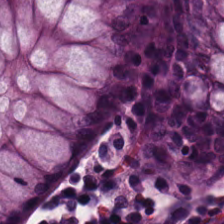H&E-stained tissue section. 224×224 px patch — Predominantly normal colon mucosa.
